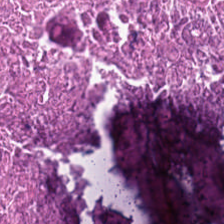H&E stain. This field is cellular debris.
